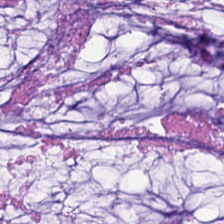H&E stain — Tissue — extracellular mucin.
